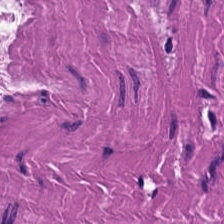H&E — This field is smooth-muscle tissue.
